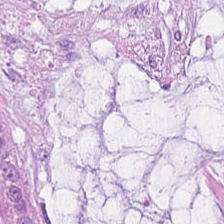Stain: H&E-stained tissue section.
Tissue class: mucus.
